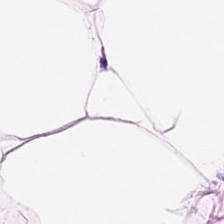H&E-stained tissue section.
Q: Identify the tissue.
A: The field shows adipose.
